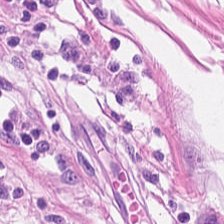H&E stain · WSI patch. Predominantly smooth-muscle tissue.
